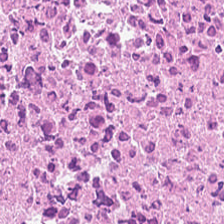0.5 microns per pixel. H&E stain. Brightfield microscopy.
Classification: debris.
